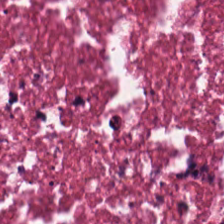0.5 microns per pixel. Hematoxylin and eosin. Brightfield — Classification — cellular debris.
